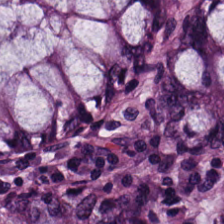H&E.
Impression — benign colonic mucosa.
